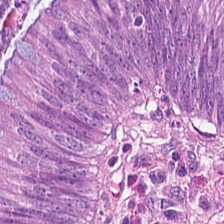H&E stain. Tissue class — colorectal adenocarcinoma epithelium.
